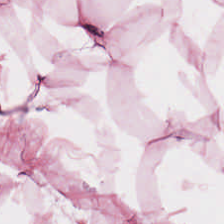Hematoxylin and eosin — This field is adipose.
